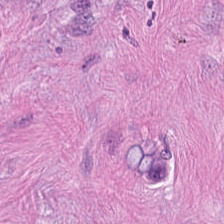Stain: H&E stain.
Tile size: 224×224 pixel tile.
Acquisition: brightfield.
Tissue: cancer-associated stroma.
